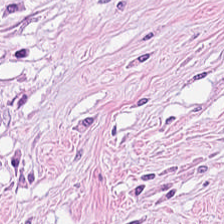FFPE · H&E stain · 224×224 px tile.
Classification = cancer-associated stroma.
